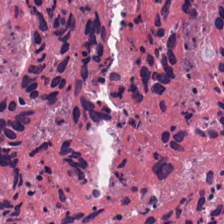Hematoxylin-and-eosin stained section.
Q: What tissue is shown?
A: It is necrotic debris.
